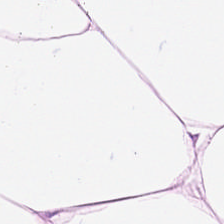Stain: H&E-stained tissue section.
Resolution: 0.5 µm per pixel.
Tissue class: fat tissue.
